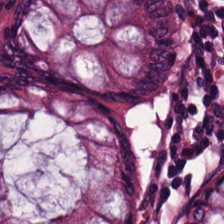Finding → normal colonic mucosa.
